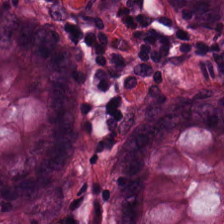Brightfield; H&E-stained tissue section. Predominantly non-neoplastic colon mucosa.
